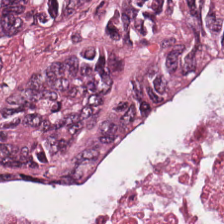224×224 pixel tile. FFPE tissue section. Hematoxylin-and-eosin stained section.
This field is adenocarcinoma.
